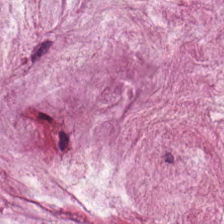0.5 µm/px; hematoxylin-and-eosin stained section; FFPE.
The tissue here is mucin.
